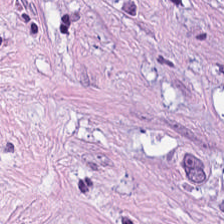224×224 px patch. H&E-stained tissue section — This patch shows tumor stroma.
